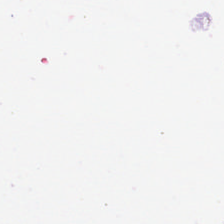H&E-stained tissue section; brightfield.
This field is background (no tissue).
